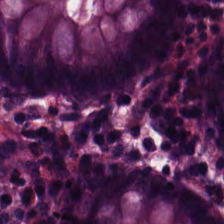H&E-stained tissue section showing non-neoplastic colon mucosa.
